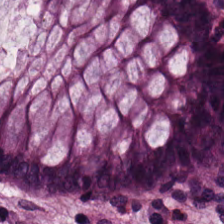H&E-stained tissue section. Q: What is the predominant tissue type?
A: This is non-neoplastic colon mucosa.
